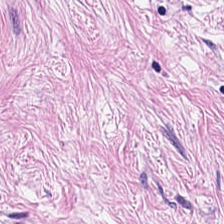H&E. The predominant tissue is tumor stroma.
